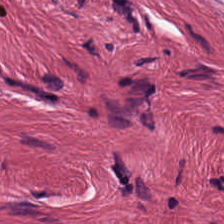Hematoxylin and eosin.
The tissue class is tumor stroma.
